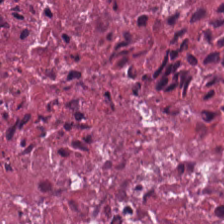Formalin-fixed paraffin-embedded section · hematoxylin-and-eosin stained section. Finding → cellular debris.
